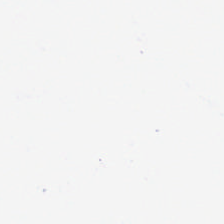H&E-stained tissue section. 224×224 pixel tile — Empty field — background.
